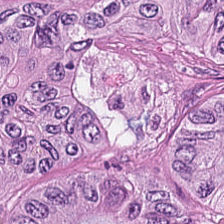H&E-stained tissue section — Q: What does this patch show?
A: Colorectal adenocarcinoma epithelium.
